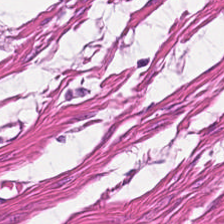Hematoxylin-and-eosin section: smooth muscle.
